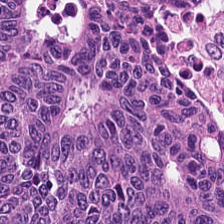WSI patch · H&E stain.
Colorectal adenocarcinoma.
